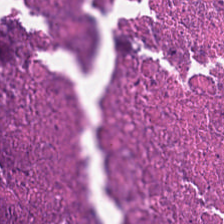Brightfield; H&E-stained tissue section.
Q: What tissue is shown?
A: It is cellular debris.
